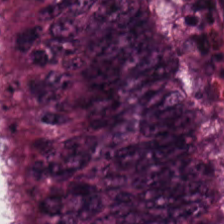Hematoxylin and eosin · WSI patch.
The tissue here is tumor epithelium.
